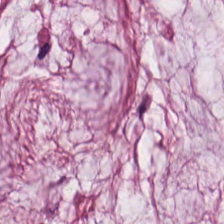H&E-stained tissue section · 224×224 px patch.
The tissue here is mucin.
